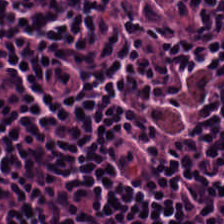224×224 pixel tile · H&E-stained tissue section · FFPE — Showing lymphocytic infiltrate.
